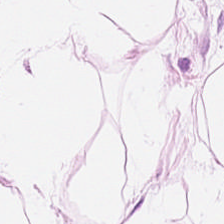H&E-stained tissue section. Tissue type: fat tissue.
